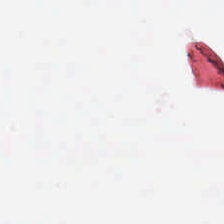H&E-stained tissue section. Empty field — background.
